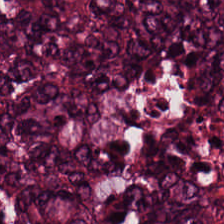Tissue type: tumor epithelium.
